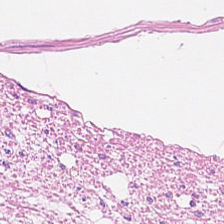Hematoxylin and eosin; formalin-fixed paraffin-embedded section; 0.5 µm/px.
Predominantly smooth-muscle tissue.
